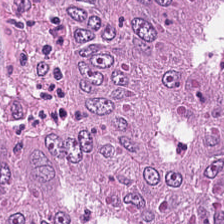Stain: hematoxylin-and-eosin stained section.
Tissue type: colorectal adenocarcinoma.
